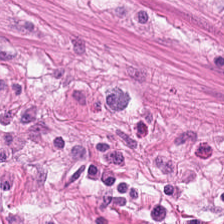224×224 pixel tile · H&E stain — Finding → smooth muscle.
